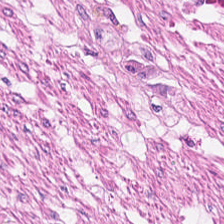224×224 pixel tile; H&E. Tissue class — muscularis.
